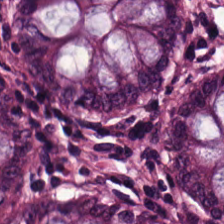224×224 pixel tile; H&E stain; brightfield microscopy.
This field is non-neoplastic colon mucosa.
